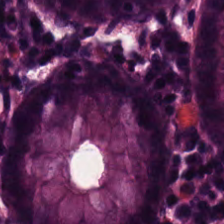0.5 µm per pixel. H&E. 224×224 px tile.
The tissue type is benign colonic mucosa.
